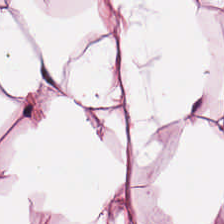H&E.
Impression → adipocytes.
